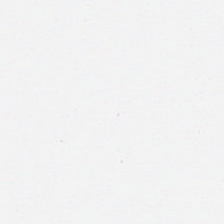Hematoxylin-and-eosin stained section; 0.5 µm per pixel; FFPE. Finding — empty background.
